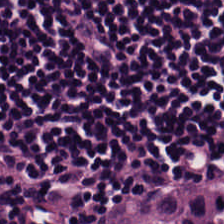Stain: H&E.
Tissue class: lymphocytic infiltrate.
